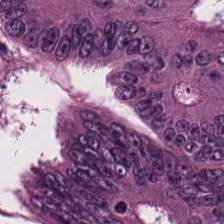Hematoxylin-and-eosin stained section; 224×224 px tile. This field is colorectal adenocarcinoma.
